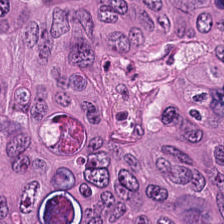{"tissue_type": "colorectal adenocarcinoma epithelium"}
